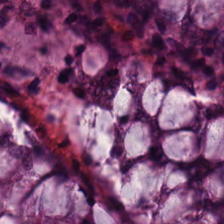Hematoxylin and eosin; 0.5 microns per pixel — Histology — normal colon mucosa.
